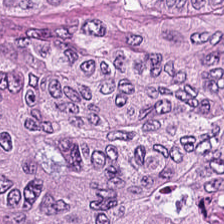0.5 µm/px · 224×224 px patch · H&E.
The tissue here is colorectal adenocarcinoma.
